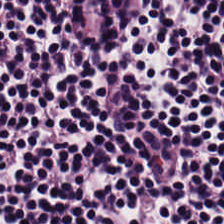This field is lymphoid infiltrate.
